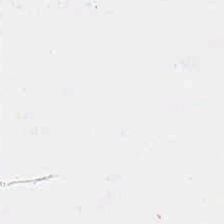H&E stain — {"content": "background"}
